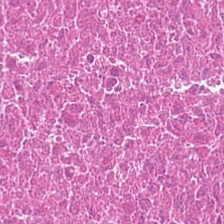The tissue class is cellular debris.
